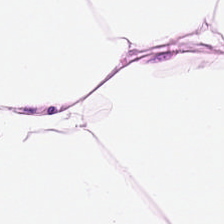Hematoxylin-and-eosin stained section — Q: Identify the tissue.
A: This is adipose.
